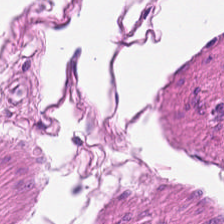Hematoxylin and eosin. Showing smooth muscle.
